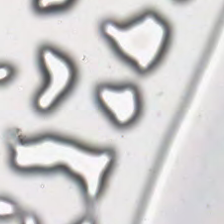Histology — empty background.
